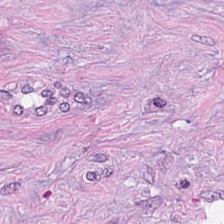Stain: H&E.
Tissue type: cancer-associated stroma.
